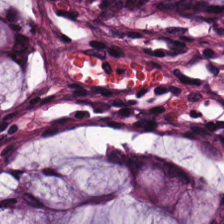H&E. 0.5 µm per pixel — Predominant tissue: normal colon mucosa.
